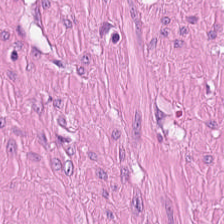Stain: hematoxylin and eosin.
Predominant tissue: smooth muscle.
